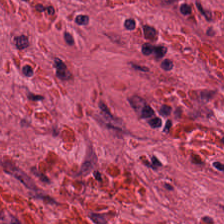H&E stain. The predominant tissue is tumor-associated stroma.
